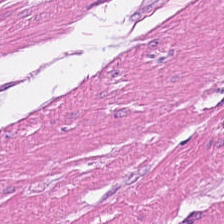H&E · whole-slide-image patch.
Muscularis.
